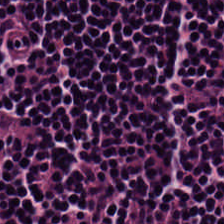H&E stain · 0.5 microns per pixel. {"tissue_type": "lymphoid infiltrate"}
